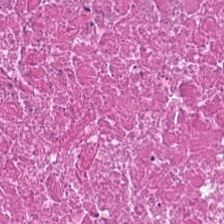Hematoxylin and eosin — The tissue here is debris.
